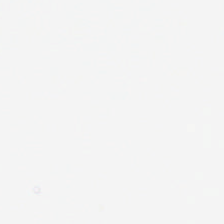Formalin-fixed paraffin-embedded section. H&E. Brightfield microscopy.
Empty background.
